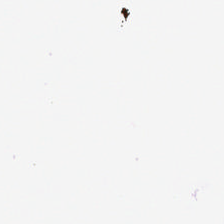The classification is background.
